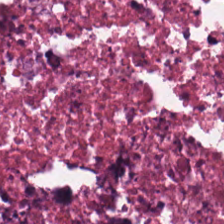H&E stain — Q: What is the predominant tissue type?
A: Necrotic debris.
